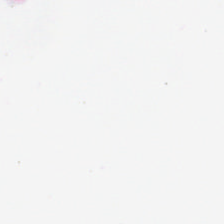Hematoxylin-and-eosin stained section · formalin-fixed paraffin-embedded section. The classification is background.
